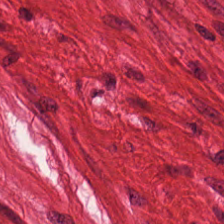224×224 pixel tile; 0.5 microns per pixel; hematoxylin-and-eosin stained section — Muscularis.
